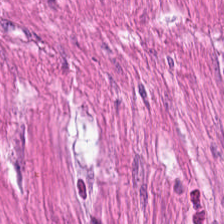WSI patch; hematoxylin and eosin; 224×224 pixel tile — Finding → smooth muscle.
